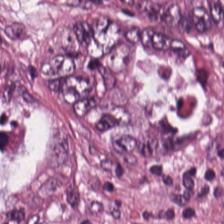H&E-stained tissue section. 0.5 microns per pixel — Tissue class: colorectal adenocarcinoma.
